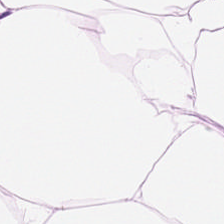H&E. Q: What tissue is shown?
A: It is adipocytes.
